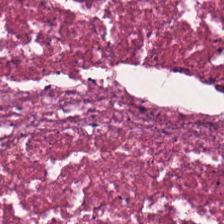H&E.
The predominant tissue is cellular debris.
